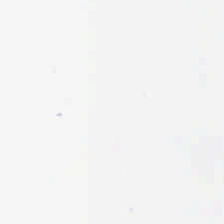H&E stain · brightfield microscopy. This patch shows background (no tissue).
